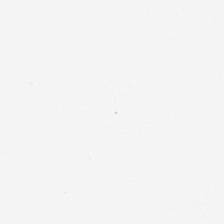H&E stain — Classification: empty background.
